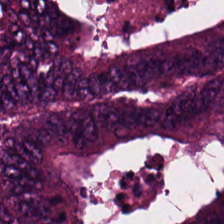H&E-stained tissue section; whole-slide-image patch; formalin-fixed paraffin-embedded section. The tissue here is colorectal adenocarcinoma epithelium.
